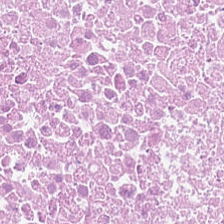Stain: H&E stain.
Tissue: necrotic debris.
